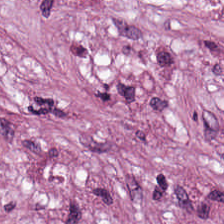224×224 pixel tile · H&E. Predominant tissue: desmoplastic stroma.
